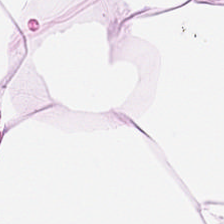H&E-stained section; the field shows adipocytes.
